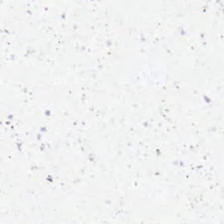Empty field — empty background.
